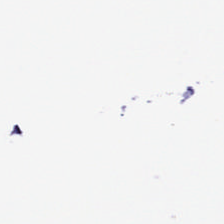Hematoxylin and eosin.
Field content: empty background.
